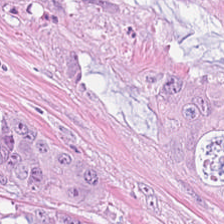Hematoxylin-and-eosin stained section.
{"tissue_type": "colorectal adenocarcinoma"}
